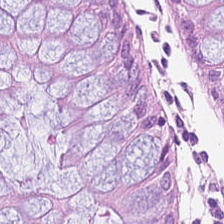H&E stain — Finding → normal colonic mucosa.
